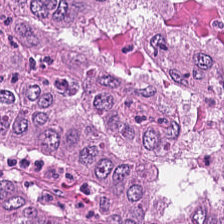Q: Classify this patch.
A: Adenocarcinoma.
